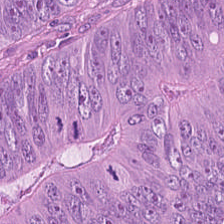This field is colorectal adenocarcinoma epithelium.
